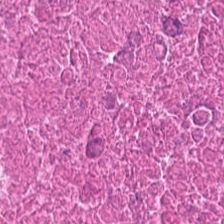Formalin-fixed paraffin-embedded section · hematoxylin-and-eosin stained section · brightfield microscopy — Tissue class: debris.
